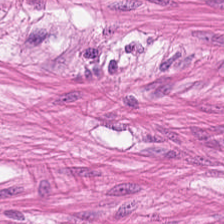H&E stain.
Tissue class = muscularis.
